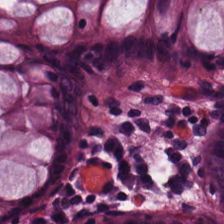H&E-stained tissue section; whole-slide-image patch.
This patch shows benign colonic mucosa.
